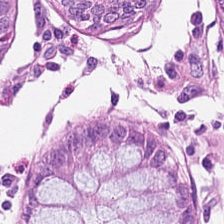H&E stain — Normal colonic mucosa.
